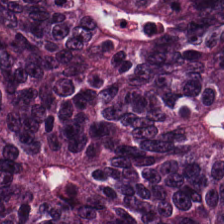H&E stain.
Malignant epithelium.
